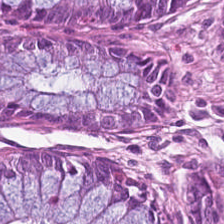0.5 µm per pixel · H&E stain — The tissue is normal colon mucosa.
